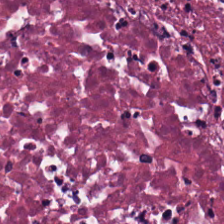H&E.
The tissue here is cellular debris.
